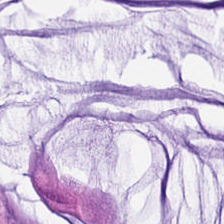Hematoxylin-and-eosin stained section — Mucus.
